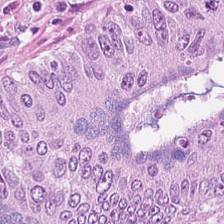H&E-stained tissue section. This field is malignant epithelium.
